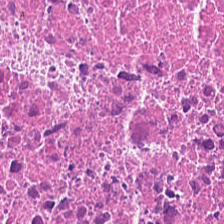Hematoxylin and eosin — Predominant tissue: necrotic debris.
